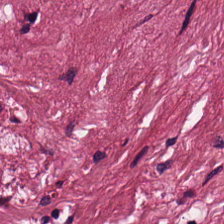H&E-stained tissue section — {"tissue_type": "cancer-associated stroma"}
